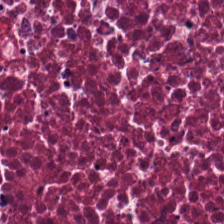Stain: H&E stain.
Tissue: necrotic debris.
